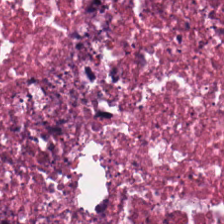Predominantly necrotic debris.
